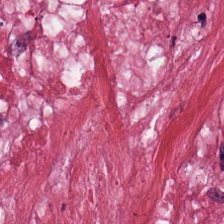H&E.
Showing tumor stroma.
